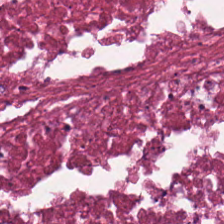Whole-slide-image patch; H&E stain.
Tissue type = cellular debris.
